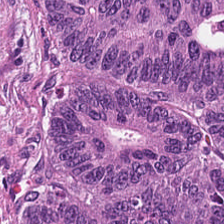H&E stain · 224×224 px tile. Showing adenocarcinoma.
